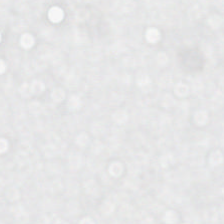H&E stain; 20× equivalent magnification — This field is background (no tissue).
